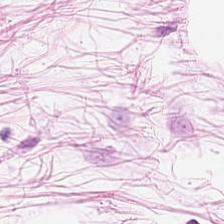Stain: H&E-stained tissue section.
Tissue class: adipose tissue.
